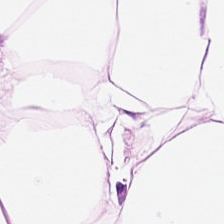This field is fat tissue.
